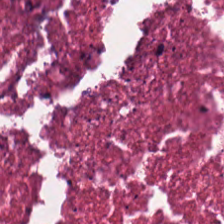H&E-stained section; the field shows necrotic debris.
